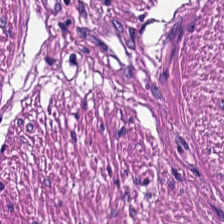Whole-slide-image patch · hematoxylin-and-eosin stained section — Muscularis.
